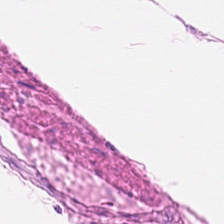Showing smooth-muscle tissue.
